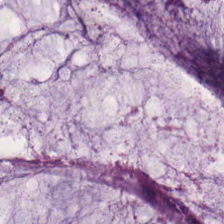H&E-stained tissue section showing mucus.
